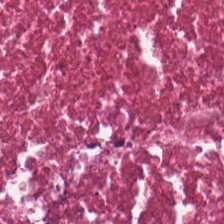0.5 µm/px. H&E.
Histology → debris.
